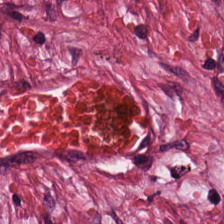Hematoxylin-and-eosin stained section. Tumor-associated stroma.
